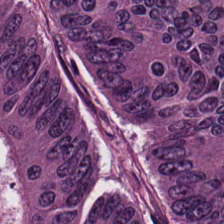Showing colorectal adenocarcinoma.
